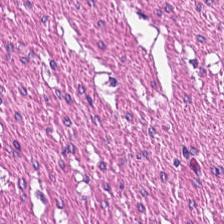224×224 px tile · hematoxylin and eosin.
This field is smooth-muscle tissue.
